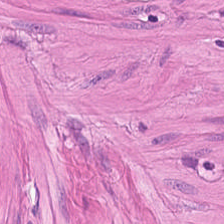FFPE tissue section · 20× equivalent magnification · H&E.
Tissue — smooth muscle.
